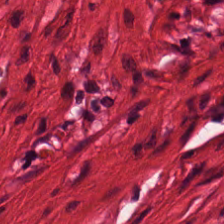H&E-stained tissue section · 0.5 µm per pixel · 224×224 pixel tile. Showing muscularis.
